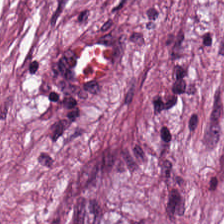H&E-stained tissue section; brightfield. Q: What is shown in this field?
A: It is cancer-associated stroma.
